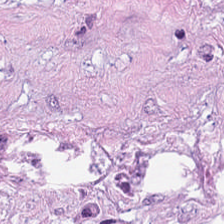Whole-slide-image patch. H&E. 0.5 µm/px.
Q: Identify the tissue.
A: This is tumor-associated stroma.
